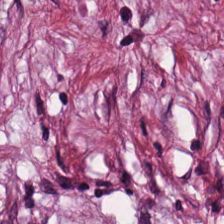Tumor stroma.
